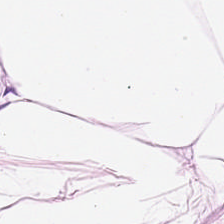H&E stain.
Q: What does this patch show?
A: It is adipose.
